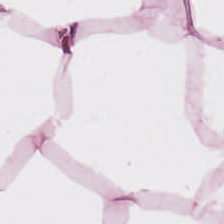Q: What tissue type is shown here?
A: The field shows adipose tissue.
